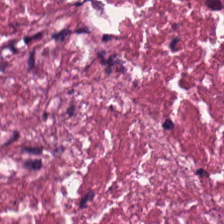Stain: hematoxylin and eosin.
Tissue class: necrotic debris.
